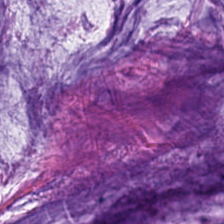Brightfield microscopy; H&E-stained tissue section; 0.5 microns per pixel.
Tissue class — mucus.
